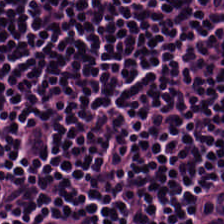224×224 px tile; H&E stain — Classification — lymphocytic infiltrate.
